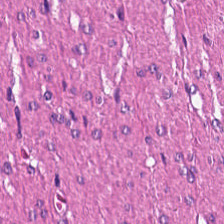FFPE; H&E. Predominantly smooth muscle.
